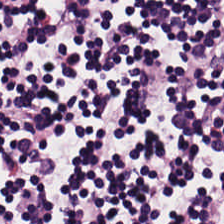H&E stain — Predominant tissue = lymphoid infiltrate.
